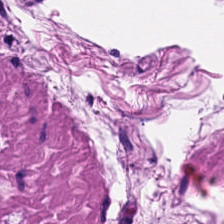H&E. Histology — smooth muscle.
